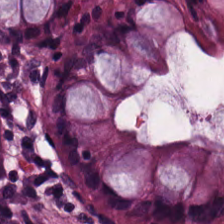H&E stain — This field is normal colon mucosa.
